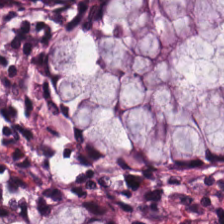Hematoxylin and eosin.
Q: What tissue type is shown here?
A: This is benign colonic mucosa.
